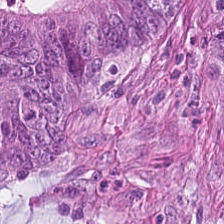H&E — colorectal adenocarcinoma epithelium.
